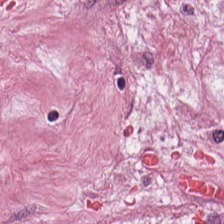Brightfield. H&E. 224×224 px patch. Classification = tumor-associated stroma.
